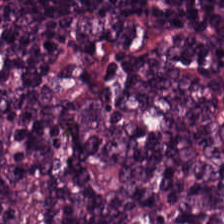20× equivalent magnification · hematoxylin-and-eosin stained section — Showing lymphocyte aggregate.
